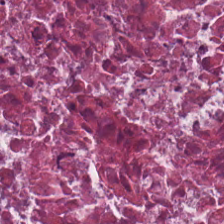H&E; 224×224 px tile. The tissue here is debris.
